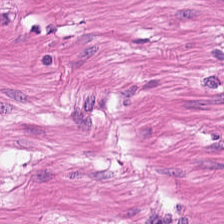0.5 µm/px · H&E. Tissue — muscularis.
